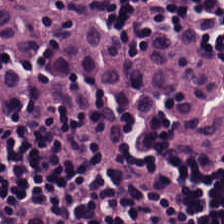This field is lymphocytes.
